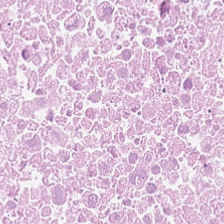Stain: H&E.
Classification: necrotic debris.
